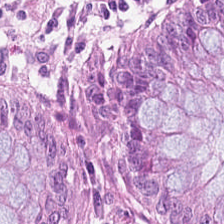Stain: H&E-stained tissue section.
Tile size: 224×224 px tile.
Classification: non-neoplastic colon mucosa.
